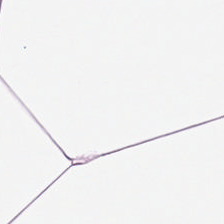H&E stain; WSI patch; 224×224 px patch. Finding — adipose.
